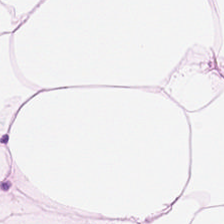Stain: H&E-stained tissue section.
Predominant tissue: adipose tissue.
